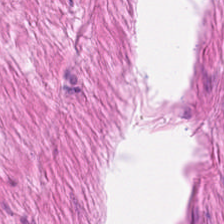Hematoxylin-and-eosin stained section. This field is smooth muscle.
